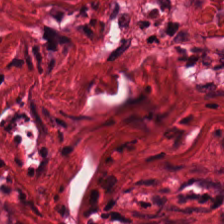H&E-stained tissue section — Q: Classify this patch.
A: This is tumor stroma.
